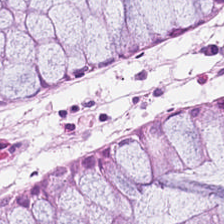Stain: H&E.
Resolution: 20× equivalent magnification.
Tissue class: normal colonic mucosa.
